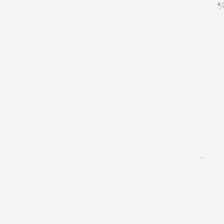H&E-stained tissue section.
This patch shows no tissue.
